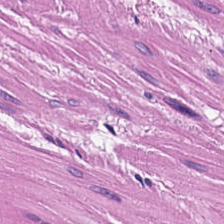FFPE tissue section; WSI patch; hematoxylin and eosin. Q: Identify the tissue.
A: The field shows smooth muscle.
